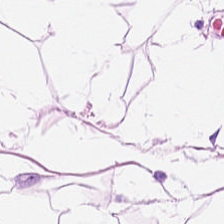Brightfield. Hematoxylin and eosin. The predominant tissue is adipocytes.
